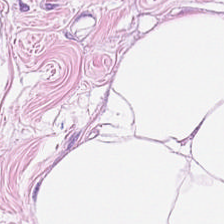Hematoxylin and eosin · 0.5 microns per pixel — Tissue type: adipocytes.
